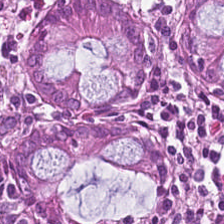Hematoxylin-and-eosin stained section — The tissue here is normal colonic mucosa.
